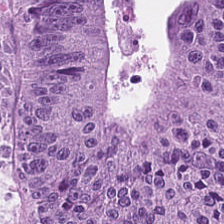Stain: hematoxylin and eosin.
Preparation: FFPE.
Acquisition: brightfield.
Tissue type: colorectal adenocarcinoma.
